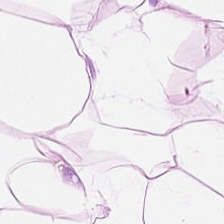Hematoxylin-and-eosin stained section.
{"tissue_type": "adipose"}
